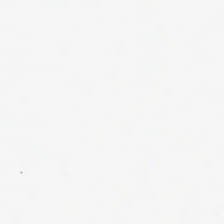224×224 px patch. H&E.
Q: Classify this patch.
A: The field shows background.
